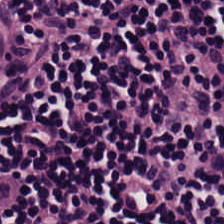H&E — {"tissue_type": "lymphocytic infiltrate"}
